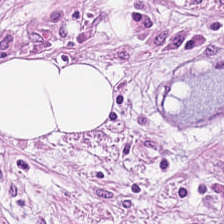H&E. The predominant tissue is tumor stroma.
